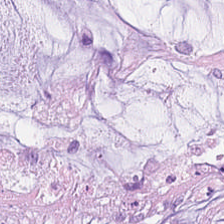Brightfield microscopy; FFPE tissue section; H&E-stained tissue section. This field is extracellular mucin.
